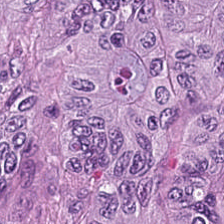H&E stain.
The classification is malignant epithelium.
